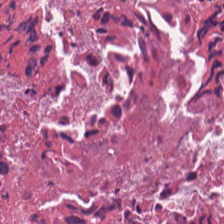Stain: H&E-stained tissue section.
Tissue: cellular debris.
